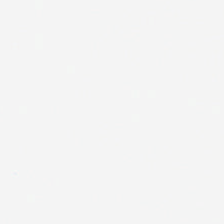Hematoxylin and eosin. Whole-slide-image patch. FFPE.
Q: What does this patch show?
A: The field shows no tissue.
